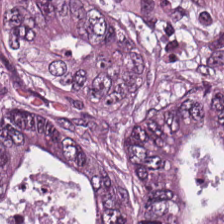224×224 px patch · hematoxylin and eosin · brightfield — The tissue here is adenocarcinoma.
